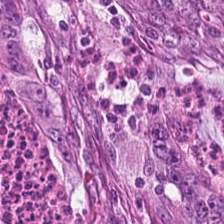The predominant tissue is colorectal adenocarcinoma epithelium.
